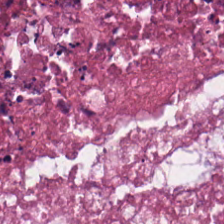FFPE tissue section · whole-slide-image patch · H&E-stained tissue section — Tissue — debris.
